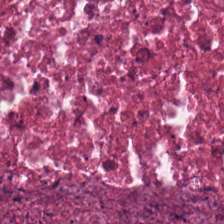Stain: hematoxylin and eosin.
Tissue: cellular debris.
